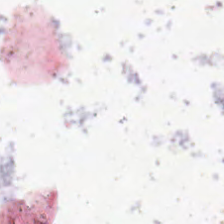Hematoxylin-and-eosin stained section.
This field is background (no tissue).
